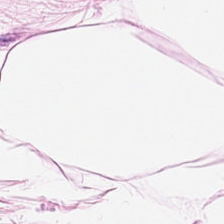H&E-stained tissue section. The predominant tissue is adipocytes.
